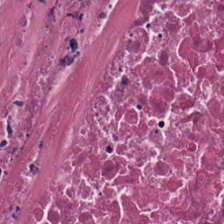H&E-stained tissue section showing debris.
